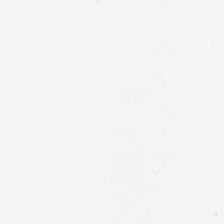H&E stain. Brightfield — Field content: empty background.
